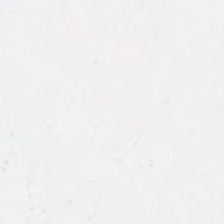{"content": "empty background"}
